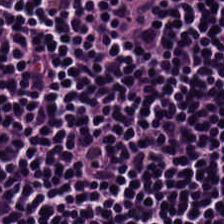H&E stain. Showing lymphoid infiltrate.
